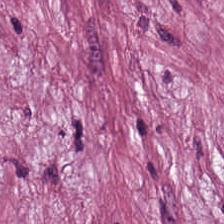H&E-stained tissue section · WSI patch.
The tissue class is tumor-associated stroma.
